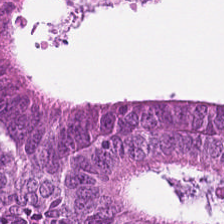20× equivalent magnification; hematoxylin and eosin — The tissue type is colorectal adenocarcinoma epithelium.
